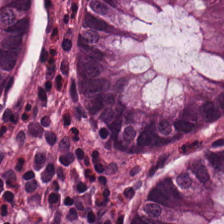Hematoxylin-and-eosin stained section · FFPE · 0.5 µm/px.
Q: Identify the tissue.
A: The field shows normal colonic mucosa.
